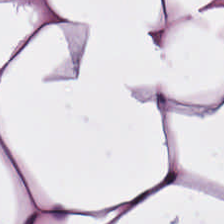H&E stain.
This patch shows adipocytes.
